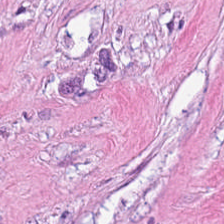H&E-stained tissue section; 20× equivalent magnification; FFPE tissue section.
Impression — tumor-associated stroma.
